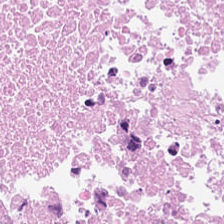Stain: H&E.
Tissue class: debris.
